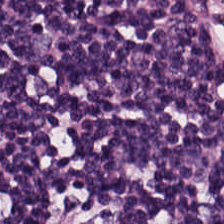Q: Identify the tissue.
A: Lymphocytes.
